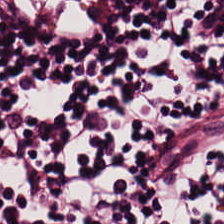H&E patch showing lymphocytes.
